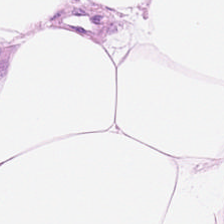Hematoxylin-and-eosin stained section — The tissue type is adipose.
